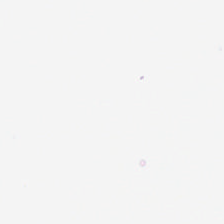Background.
